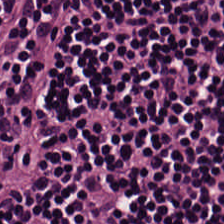Hematoxylin-and-eosin stained section.
Impression — lymphocytic infiltrate.
